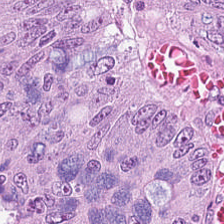Q: Classify this patch.
A: Colorectal adenocarcinoma.
